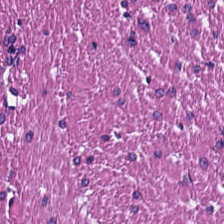Hematoxylin and eosin. The predominant tissue is muscularis.
